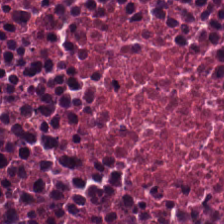H&E stain — {"tissue_type": "debris"}
